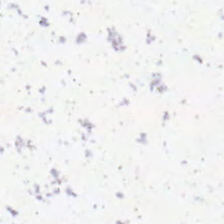H&E stain.
This field is background (no tissue).
